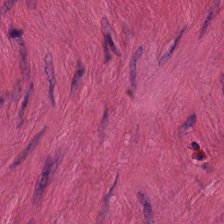Hematoxylin-and-eosin stained section. Predominantly smooth-muscle tissue.
